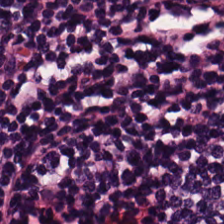Stain: hematoxylin and eosin.
Tissue type: lymphocyte aggregate.
